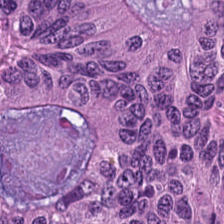Hematoxylin-and-eosin stained section. The predominant tissue is colorectal adenocarcinoma.
